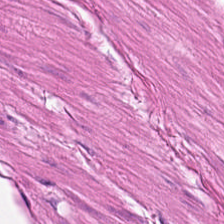H&E-stained tissue section.
This patch shows muscularis.
